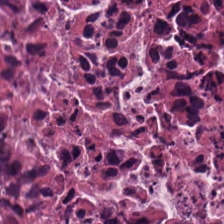Hematoxylin-and-eosin stained section.
Tissue class = cellular debris.
